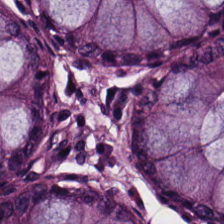FFPE; hematoxylin-and-eosin stained section.
The predominant tissue is non-neoplastic colon mucosa.
